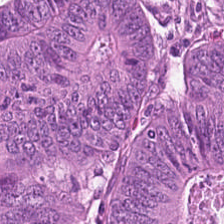H&E stain. This patch shows colorectal adenocarcinoma epithelium.
